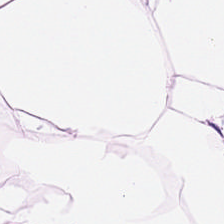0.5 µm per pixel. H&E. This patch shows adipose tissue.
